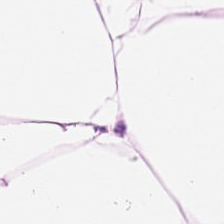H&E-stained tissue section.
Adipocytes.
